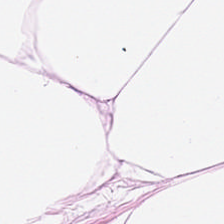Hematoxylin-and-eosin stained section — Fat tissue.
